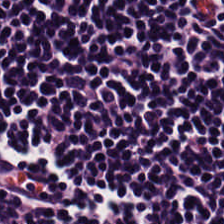H&E-stained tissue section. 20× equivalent magnification. FFPE.
Tissue type — lymphoid infiltrate.
